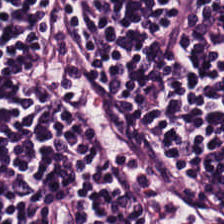H&E-stained tissue section — Showing lymphoid infiltrate.
